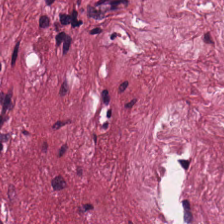Hematoxylin-and-eosin stained section. Whole-slide-image patch.
The predominant tissue is tumor stroma.
